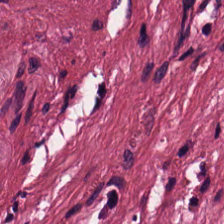H&E; brightfield microscopy.
Showing cancer-associated stroma.
